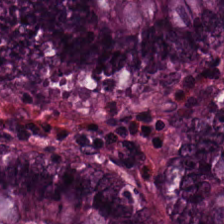Hematoxylin and eosin · 0.5 µm/px · 224×224 px tile. The tissue is benign colonic mucosa.
